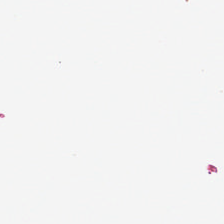H&E stain · 20× equivalent magnification · 224×224 pixel tile. Q: Classify this patch.
A: It is no tissue.
